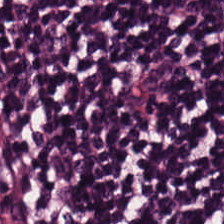H&E-stained section; the field shows lymphocyte aggregate.
